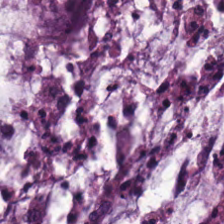H&E-stained tissue section.
This patch shows extracellular mucin.
